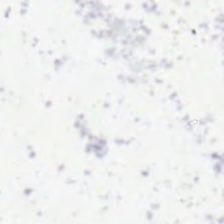No tissue present; background only.
